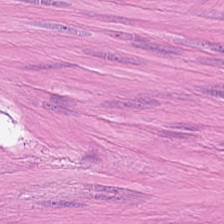Hematoxylin and eosin; FFPE.
The tissue type is smooth-muscle tissue.
